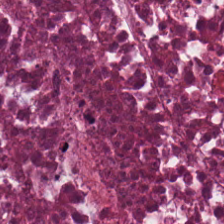224×224 pixel tile; hematoxylin-and-eosin stained section — The predominant tissue is cellular debris.
